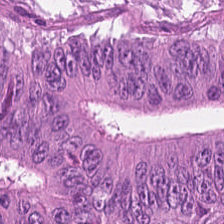{"tissue_type": "malignant epithelium"}
